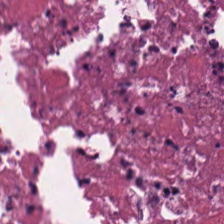224×224 px patch. Whole-slide-image patch. Hematoxylin-and-eosin stained section — Finding → necrotic debris.
